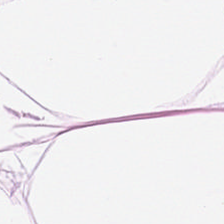Tissue type = adipose tissue.
